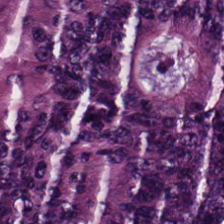H&E-stained tissue section.
Q: What is shown in this field?
A: It is colorectal adenocarcinoma.
